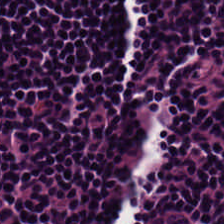H&E stain · FFPE. Q: What is shown here?
A: The field shows lymphoid infiltrate.
